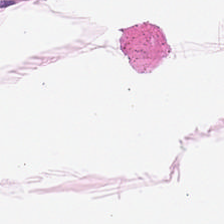H&E stain.
Predominantly fat tissue.
